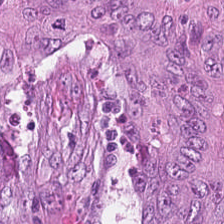Brightfield microscopy. Hematoxylin and eosin.
This patch shows colorectal adenocarcinoma epithelium.
